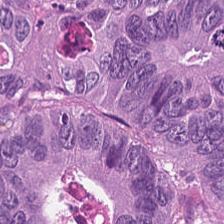H&E.
This patch shows colorectal adenocarcinoma epithelium.
